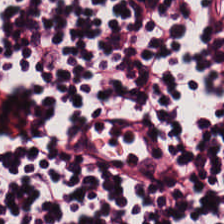{"tissue_type": "lymphocytic infiltrate"}
